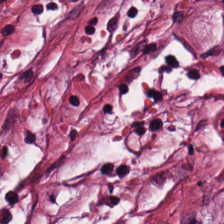H&E stain.
Tissue type — cancer-associated stroma.
